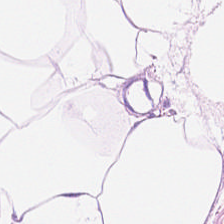Hematoxylin-and-eosin stained section. 224×224 pixel tile.
Adipose.
